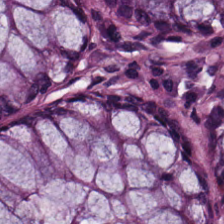Classification — benign colonic mucosa.
